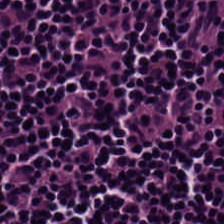Tissue type: lymphocytes.
